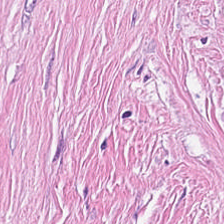Hematoxylin-and-eosin stained section. The tissue class is cancer-associated stroma.
